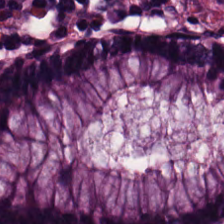Stain: H&E-stained tissue section.
Tissue: benign colonic mucosa.
